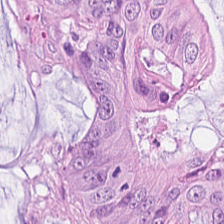FFPE. H&E-stained tissue section. Brightfield. Showing colorectal adenocarcinoma.
